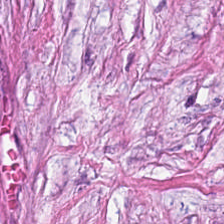Hematoxylin-and-eosin stained section. Q: What tissue type is shown here?
A: It is tumor-associated stroma.
